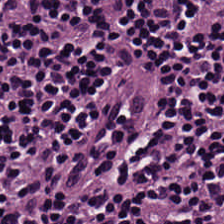H&E-stained tissue section.
Tissue = lymphocyte aggregate.
